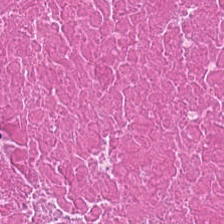0.5 microns per pixel; hematoxylin and eosin. The tissue is cellular debris.
